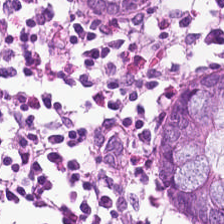Stain: hematoxylin and eosin.
Classification: non-neoplastic colon mucosa.
